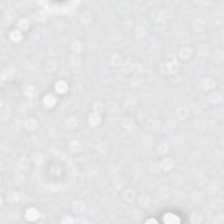0.5 µm per pixel; formalin-fixed paraffin-embedded section; H&E stain — No tissue.
